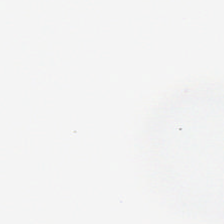Field content — empty background.
